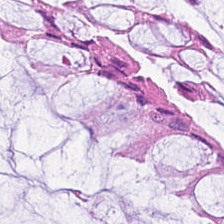H&E stain.
The predominant tissue is non-neoplastic colon mucosa.
